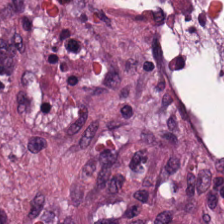H&E stain — Showing tumor stroma.
